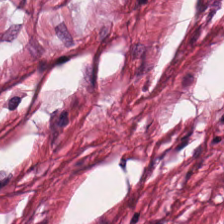Stain: hematoxylin and eosin.
Tissue type: tumor stroma.
